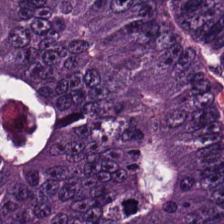Hematoxylin and eosin; 224×224 pixel tile — This patch shows colorectal adenocarcinoma epithelium.
